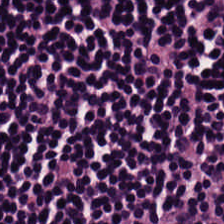FFPE tissue section. Hematoxylin-and-eosin stained section — Predominantly lymphocyte aggregate.
